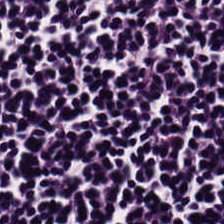0.5 µm per pixel. Hematoxylin and eosin — Tissue = lymphoid infiltrate.
